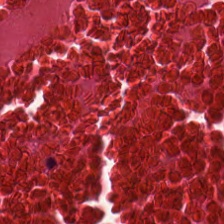The predominant tissue is debris.
